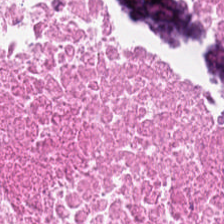{"tissue_type": "cellular debris"}
